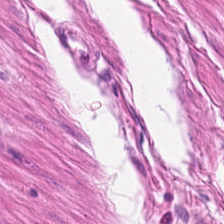20× equivalent magnification; hematoxylin-and-eosin stained section. Tissue type = smooth-muscle tissue.
